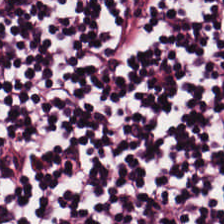Stain: H&E.
Acquisition: whole-slide-image patch.
Tissue class: lymphocytic infiltrate.
